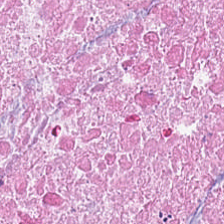H&E.
Finding → cellular debris.
